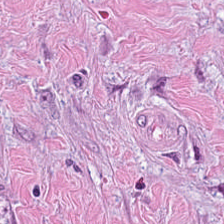H&E. Brightfield — The tissue type is tumor-associated stroma.
